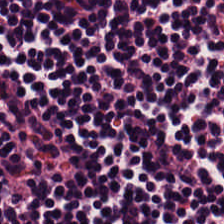H&E-stained tissue section.
Impression — lymphoid infiltrate.
